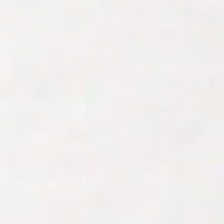Q: What does this patch show?
A: It is empty background.
